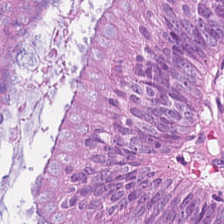WSI patch. H&E stain — Q: What type of tissue is this?
A: It is malignant epithelium.
